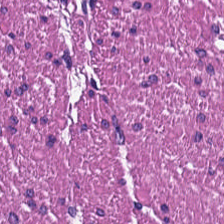Hematoxylin-and-eosin stained section · WSI patch.
This patch shows smooth-muscle tissue.
